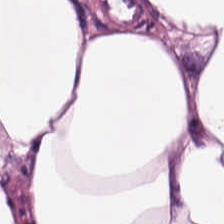Classification = adipose tissue.
